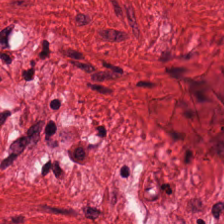H&E · brightfield.
Classification — muscularis.
